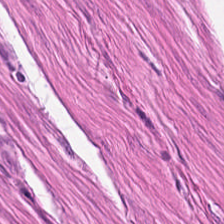H&E-stained tissue section; FFPE tissue section. Showing smooth-muscle tissue.
